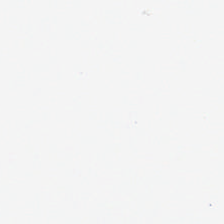0.5 microns per pixel · H&E.
Q: Classify this patch.
A: It is background.
